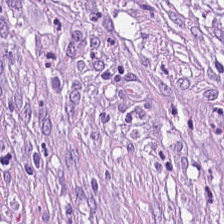H&E.
Tissue type — cancer-associated stroma.
